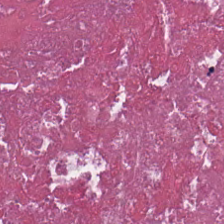This patch shows cellular debris.
